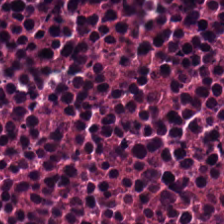224×224 px tile; H&E.
{"tissue_type": "cellular debris"}
